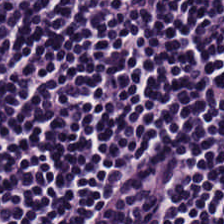H&E stain. Histology → lymphocyte aggregate.
